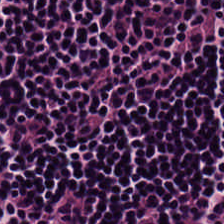H&E-stained tissue section — Q: Identify the tissue.
A: It is lymphocytes.
